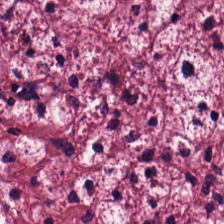H&E-stained tissue section. Showing tumor stroma.
